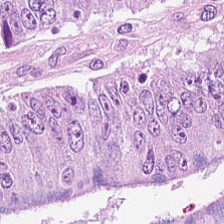Q: What tissue type is shown here?
A: Adenocarcinoma.
